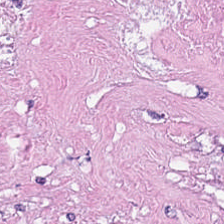Hematoxylin-and-eosin stained section.
Predominantly cellular debris.
